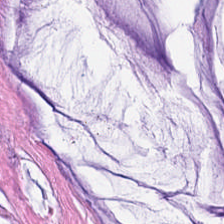Hematoxylin and eosin · 224×224 px tile.
The predominant tissue is extracellular mucin.
